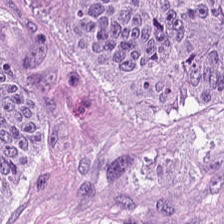H&E stain.
Adenocarcinoma.
